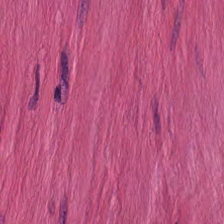H&E stain — The tissue type is smooth muscle.
